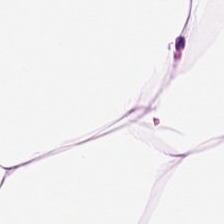Impression — adipocytes.
